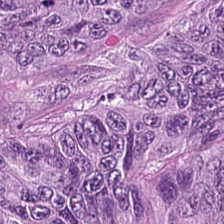H&E. Predominant tissue: adenocarcinoma.
